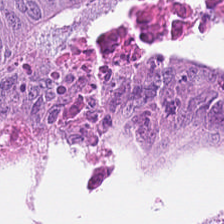H&E. Brightfield microscopy — This field is adenocarcinoma.
